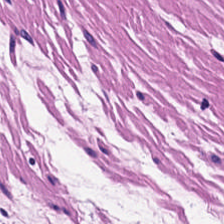H&E · WSI patch — Finding — smooth muscle.
